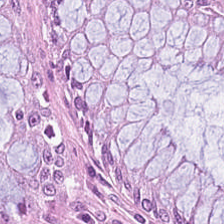Stain: H&E-stained tissue section.
Tissue class: normal colonic mucosa.
